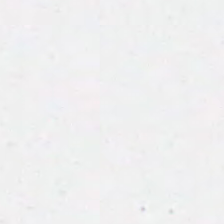Stain: H&E.
Classification: no tissue.
